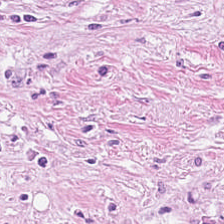H&E · formalin-fixed paraffin-embedded section. Tissue — tumor-associated stroma.
